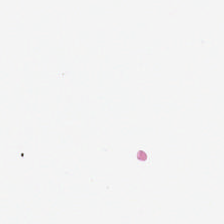H&E stain.
Empty field — no tissue.
